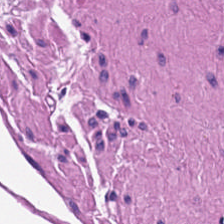H&E stain. This patch shows smooth muscle.
